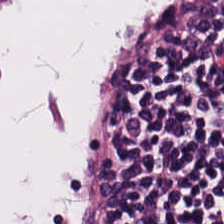Hematoxylin-and-eosin stained section.
Q: Identify the tissue.
A: It is lymphocytic infiltrate.
